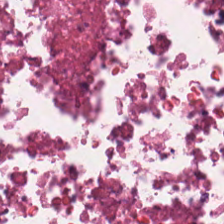H&E patch showing necrotic debris.
